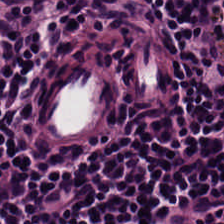H&E-stained tissue section — The tissue is lymphocytes.
